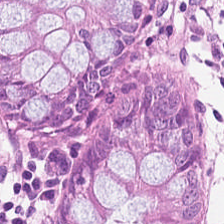H&E — non-neoplastic colon mucosa.
